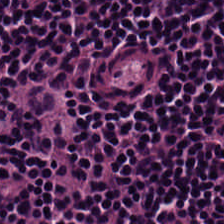The tissue here is lymphocyte aggregate.
